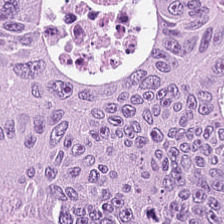224×224 px tile. H&E stain — {"tissue_type": "adenocarcinoma"}
